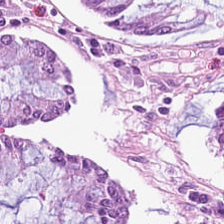H&E. 224×224 pixel tile. Finding → normal colonic mucosa.
